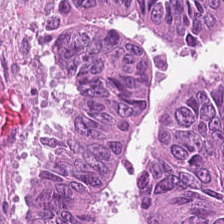Stain: H&E.
Acquisition: brightfield.
Tissue type: colorectal adenocarcinoma epithelium.
